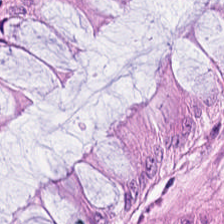Hematoxylin-and-eosin stained section.
Predominantly normal colonic mucosa.
